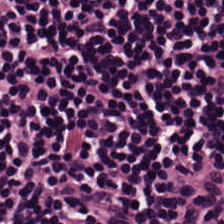H&E stain — Tissue type: lymphocytic infiltrate.
